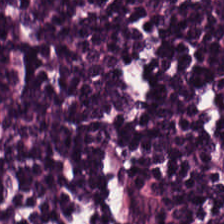Stain: hematoxylin and eosin.
Predominant tissue: lymphocytes.
